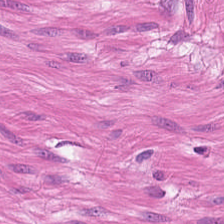H&E-stained tissue section — Q: What tissue is shown?
A: It is smooth muscle.
